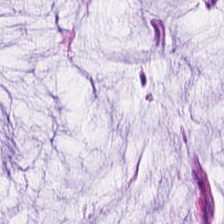Hematoxylin-and-eosin stained section. {"tissue_type": "mucin"}
